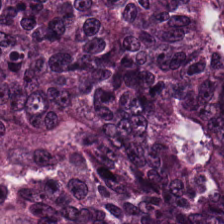H&E-stained tissue section. The classification is malignant epithelium.
